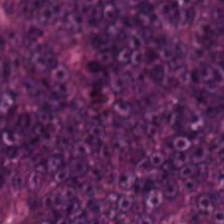224×224 pixel tile. Hematoxylin and eosin.
This patch shows colorectal adenocarcinoma epithelium.
